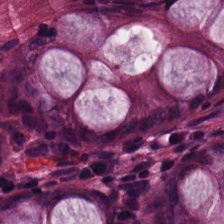Hematoxylin and eosin.
Q: Classify this patch.
A: It is benign colonic mucosa.
